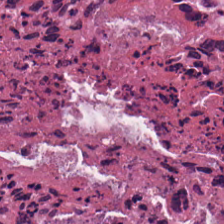H&E-stained tissue section. Brightfield microscopy — Q: What tissue type is shown here?
A: Necrotic debris.
